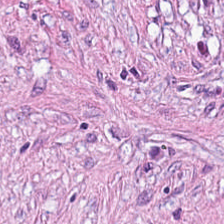Stain: H&E stain.
Classification: desmoplastic stroma.
